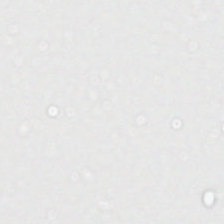0.5 µm/px; hematoxylin and eosin. Impression — no tissue.
